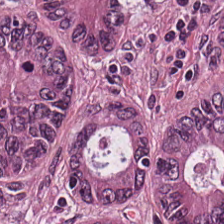H&E-stained tissue section — This field is tumor epithelium.
